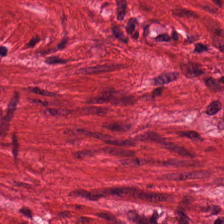Hematoxylin-and-eosin section: smooth-muscle tissue.
